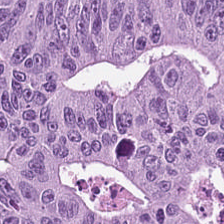Hematoxylin-and-eosin stained section. 224×224 px patch.
Predominantly colorectal adenocarcinoma.
